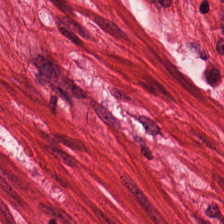20× equivalent magnification. 224×224 px patch. H&E-stained tissue section — Finding → muscularis.
